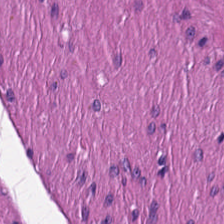WSI patch; 0.5 microns per pixel; hematoxylin-and-eosin stained section. Tissue class — smooth-muscle tissue.
